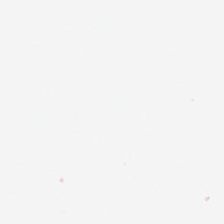Q: Classify this patch.
A: This is background.
